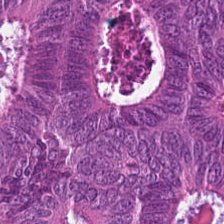Hematoxylin-and-eosin stained section. WSI patch.
Q: Identify the tissue.
A: The field shows malignant epithelium.
